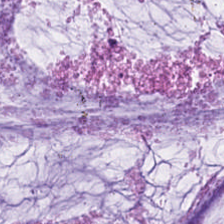H&E-stained tissue section — Finding — extracellular mucin.
